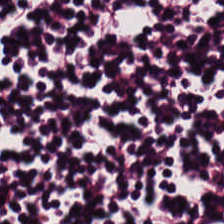H&E.
This patch shows lymphocytes.
